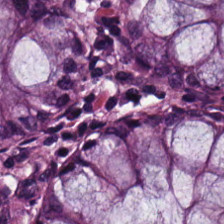Tissue class — normal colon mucosa.
